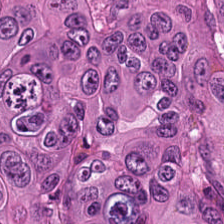Brightfield; H&E stain. Adenocarcinoma.
